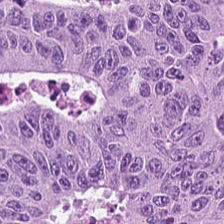H&E-stained tissue section.
Q: What tissue is shown?
A: Malignant epithelium.
